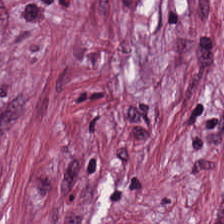Hematoxylin-and-eosin stained section. Q: What does this patch show?
A: This is tumor stroma.
